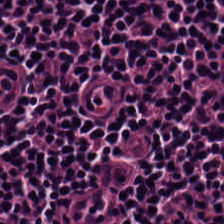Q: What tissue is shown?
A: This is lymphoid infiltrate.
